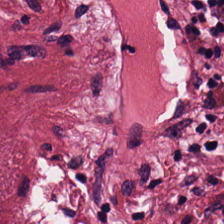Hematoxylin and eosin — Impression → cancer-associated stroma.
